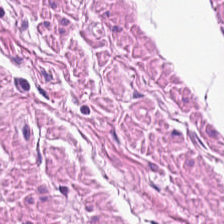Stain: H&E.
Preparation: FFPE tissue section.
Tissue type: muscularis.
